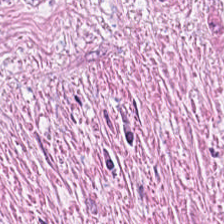Hematoxylin-and-eosin stained section. Showing desmoplastic stroma.
